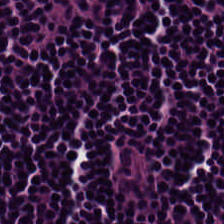H&E. Q: What tissue is shown?
A: It is lymphocytic infiltrate.
